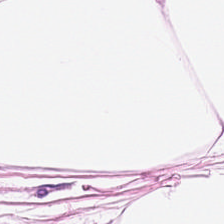Stain: H&E.
Tissue: adipose tissue.
